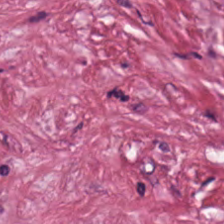H&E. Impression — cancer-associated stroma.
